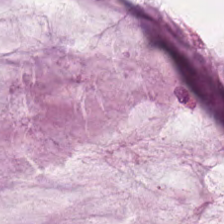Hematoxylin and eosin · brightfield microscopy · FFPE.
Tissue — mucin.
